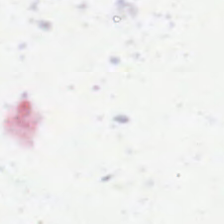FFPE. H&E stain.
The content is background (no tissue).
